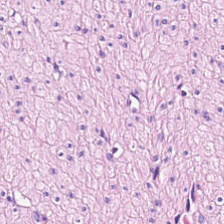H&E-stained tissue section showing smooth muscle.
